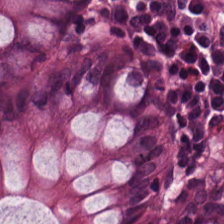H&E. Tissue: benign colonic mucosa.
